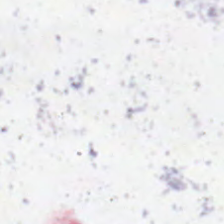Whole-slide-image patch. 0.5 µm/px. H&E.
Q: What is shown in this field?
A: The field shows no tissue.
